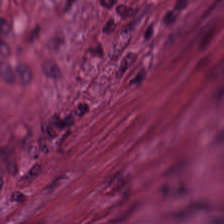Stain: H&E-stained tissue section.
Tissue class: cancer-associated stroma.
